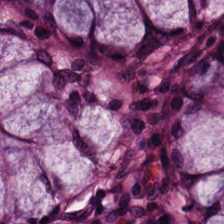Normal colon mucosa.
